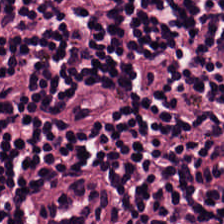Hematoxylin and eosin — {"tissue_type": "lymphocyte aggregate"}
